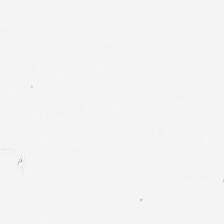Hematoxylin and eosin.
No tissue present; background only.
